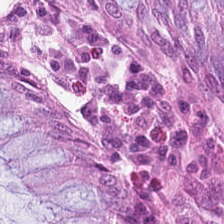The tissue type is non-neoplastic colon mucosa.
